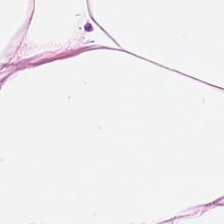H&E — Tissue type — adipose tissue.
